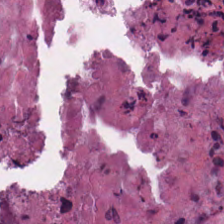Brightfield microscopy · 20× equivalent magnification · H&E.
Q: What is shown in this field?
A: It is cellular debris.
